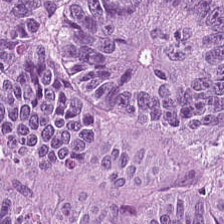224×224 px tile. Hematoxylin and eosin — Tissue class: malignant epithelium.
